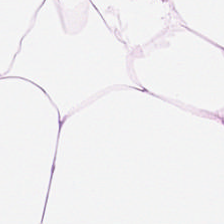Predominant tissue: adipocytes.
